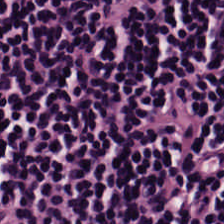Tissue class: lymphocytes.
